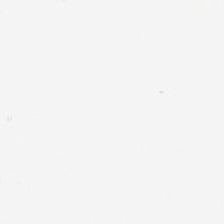H&E stain. Background.
